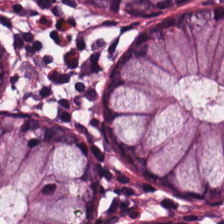Q: What type of tissue is this?
A: Benign colonic mucosa.
